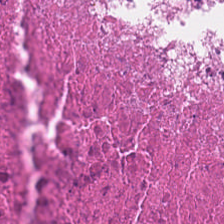H&E stain. {"tissue_type": "debris"}
